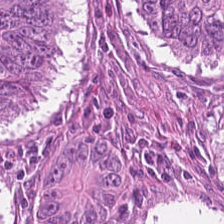Classification = colorectal adenocarcinoma.
